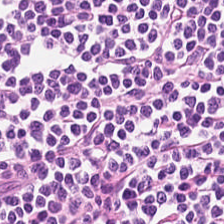H&E stain. 224×224 px tile. Finding → lymphocytic infiltrate.
